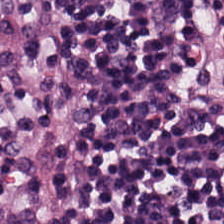Q: What is shown here?
A: Lymphoid infiltrate.
